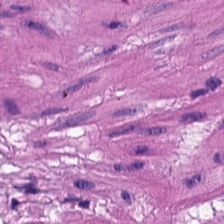Whole-slide-image patch. 224×224 px tile. H&E.
{"tissue_type": "smooth muscle"}
